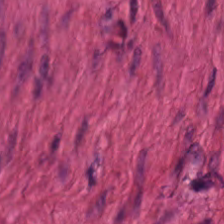Hematoxylin-and-eosin stained section. Histology — smooth-muscle tissue.
